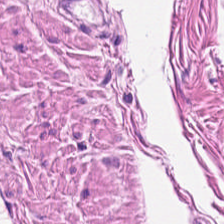Hematoxylin and eosin — Predominantly smooth-muscle tissue.
